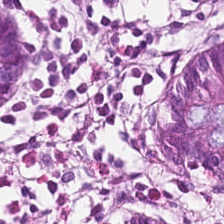H&E.
Q: What is shown in this field?
A: It is normal colon mucosa.
